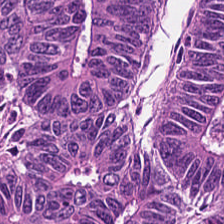Hematoxylin and eosin · 224×224 pixel tile. {"tissue_type": "colorectal adenocarcinoma"}
